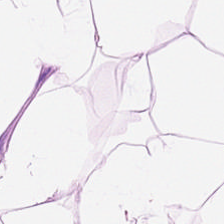H&E.
The predominant tissue is adipocytes.
